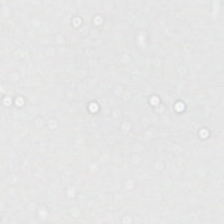H&E — Empty field — no tissue.
